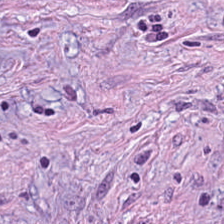Stain: hematoxylin and eosin.
Acquisition: brightfield.
Preparation: FFPE tissue section.
Predominant tissue: cancer-associated stroma.
